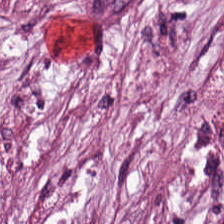Hematoxylin and eosin.
This field is cancer-associated stroma.
